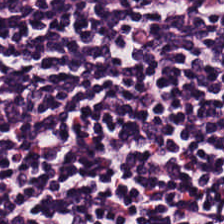Q: What tissue is shown?
A: Lymphocyte aggregate.
